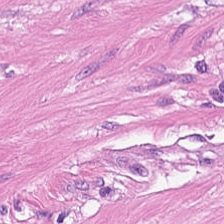FFPE; hematoxylin-and-eosin stained section; 20× equivalent magnification. Q: Identify the tissue.
A: The field shows smooth-muscle tissue.
